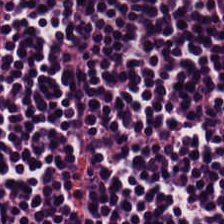Tissue class — lymphocyte aggregate.
